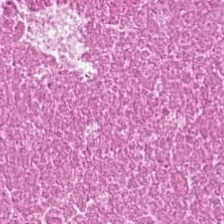H&E stain.
Impression → debris.
